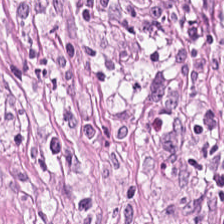The predominant tissue is tumor-associated stroma.
